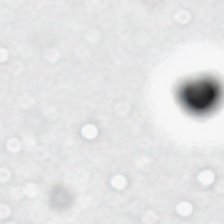Field content — background.
